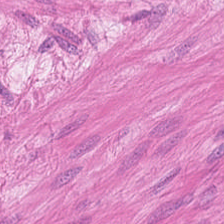H&E.
Histology → muscularis.
